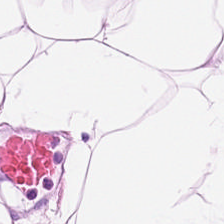Hematoxylin and eosin.
Tissue class: adipocytes.
